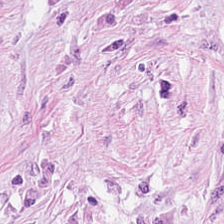FFPE; H&E.
This patch shows desmoplastic stroma.
